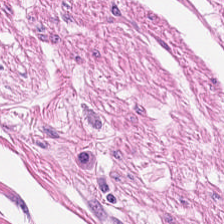Hematoxylin-and-eosin stained section; 224×224 pixel tile.
Tissue type — smooth muscle.
